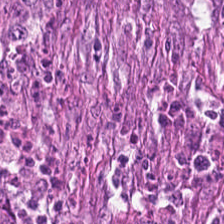Predominantly tumor epithelium.
